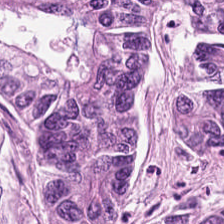Tumor epithelium.
